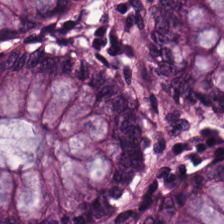FFPE tissue section; hematoxylin-and-eosin stained section.
This field is normal colon mucosa.
